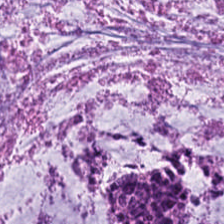Stain: H&E.
Preparation: formalin-fixed paraffin-embedded section.
Tile size: 224×224 pixel tile.
Classification: extracellular mucin.
